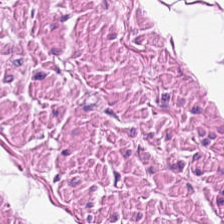H&E. This patch shows muscularis.
